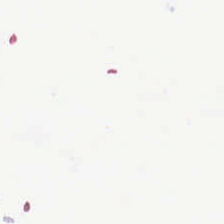Content = no tissue.
